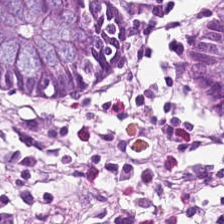Hematoxylin and eosin.
Benign colonic mucosa.
